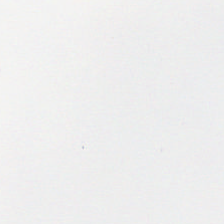H&E stain. Field content — empty background.
